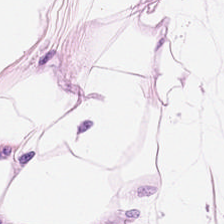Hematoxylin-and-eosin stained section. This field is adipocytes.
